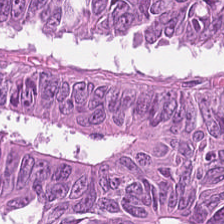H&E-stained tissue section showing tumor epithelium.
